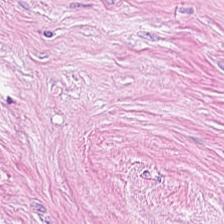Stain: H&E-stained tissue section.
Tile size: 224×224 px tile.
Preparation: FFPE.
Tissue class: desmoplastic stroma.
